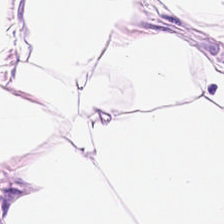H&E-stained tissue section — The predominant tissue is adipocytes.
